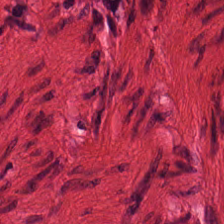Q: Classify this patch.
A: Smooth-muscle tissue.
